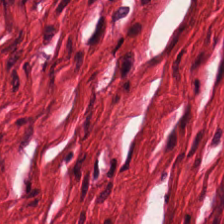0.5 µm/px; H&E. Tissue = muscularis.
